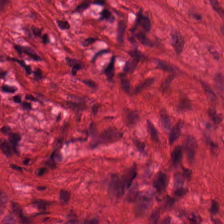Brightfield microscopy; H&E-stained tissue section — Classification — smooth-muscle tissue.
